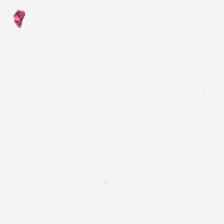WSI patch · 0.5 µm per pixel · H&E stain. Empty background.
